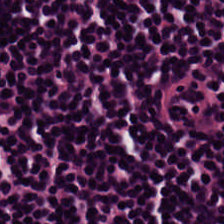Hematoxylin-and-eosin stained section.
{"tissue_type": "lymphocytes"}
